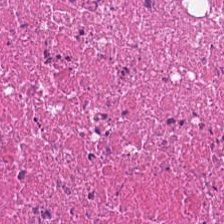0.5 µm per pixel · hematoxylin-and-eosin stained section — This field is necrotic debris.
